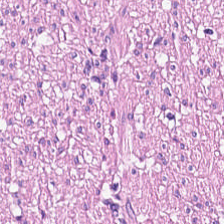Stain: H&E.
Tissue: smooth-muscle tissue.
